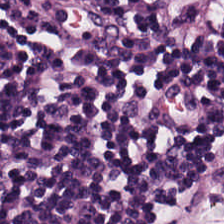Whole-slide-image patch · H&E — The tissue is lymphoid infiltrate.
